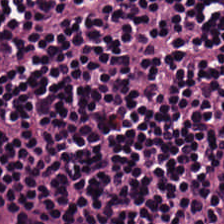0.5 µm per pixel · H&E · formalin-fixed paraffin-embedded section.
Lymphoid infiltrate.
